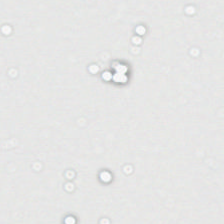H&E stain — Empty field — background.
